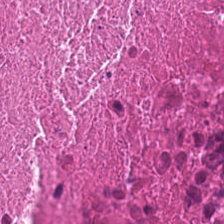H&E; 224×224 px tile — Showing debris.
